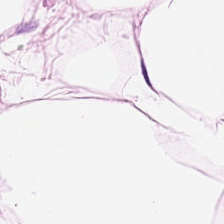Q: What tissue is shown?
A: It is fat tissue.
